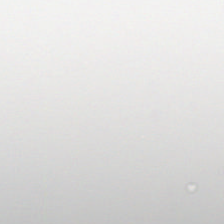Stain: hematoxylin-and-eosin stained section.
Content: background.
